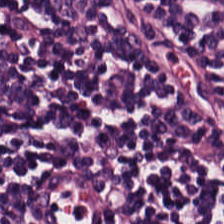Stain: H&E.
Tile size: 224×224 px patch.
Tissue: lymphocyte aggregate.
